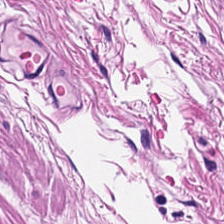{"tissue_type": "smooth-muscle tissue"}
